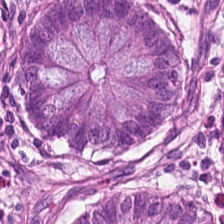224×224 px tile; H&E — Normal colonic mucosa.
